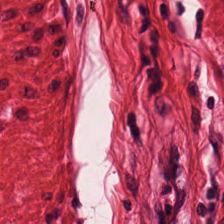Finding — muscularis.
